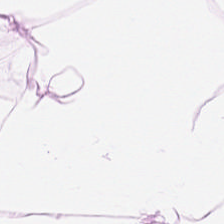This field is adipocytes.
